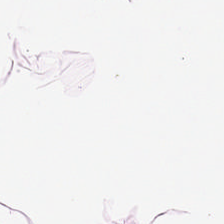Predominant tissue — adipose tissue.
